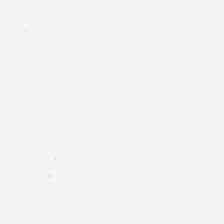{"content": "background"}
